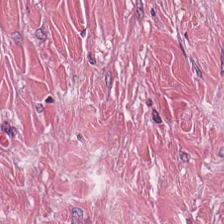0.5 microns per pixel. Hematoxylin and eosin — Predominant tissue — cancer-associated stroma.
